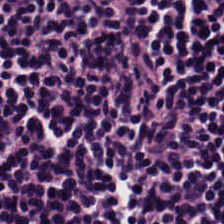0.5 microns per pixel; H&E-stained tissue section; WSI patch. Classification: lymphoid infiltrate.
